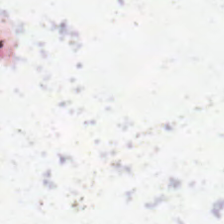Impression → empty background.
